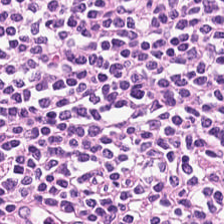Hematoxylin-and-eosin stained section.
The classification is lymphocytes.
